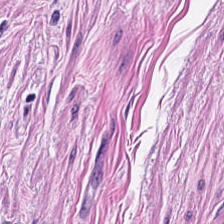Hematoxylin and eosin — The predominant tissue is smooth muscle.
